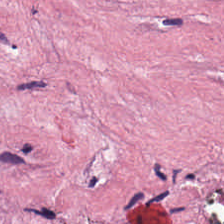H&E stain. Formalin-fixed paraffin-embedded section. Brightfield. The predominant tissue is desmoplastic stroma.
